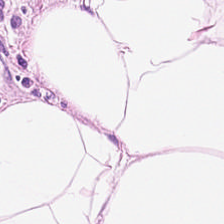Hematoxylin and eosin. 20× equivalent magnification.
Classification — adipose.
